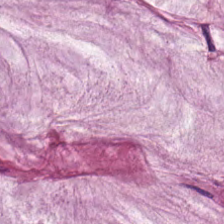Q: Classify this patch.
A: Mucus.
